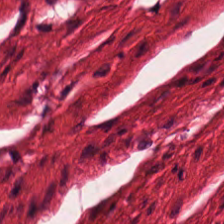WSI patch. Hematoxylin-and-eosin stained section — The predominant tissue is smooth muscle.
